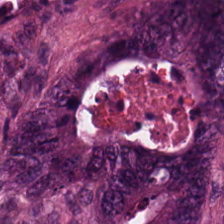H&E stain · 20× equivalent magnification. The tissue here is colorectal adenocarcinoma.
